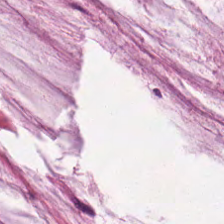H&E — Classification: mucus.
